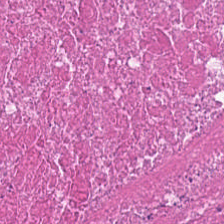Stain: hematoxylin and eosin.
Preparation: formalin-fixed paraffin-embedded section.
Tile size: 224×224 px tile.
Predominant tissue: cellular debris.
